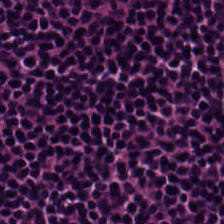Stain: hematoxylin and eosin.
Predominant tissue: lymphoid infiltrate.
